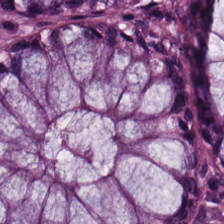Q: Classify this patch.
A: Benign colonic mucosa.
